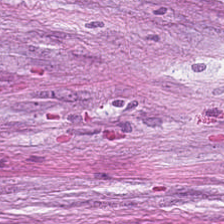Hematoxylin and eosin; brightfield microscopy. Predominantly tumor stroma.
